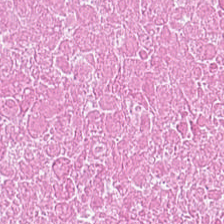H&E — The tissue here is cellular debris.
